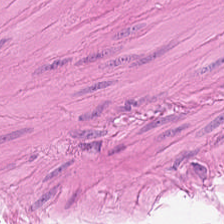H&E stain — Classification: muscularis.
